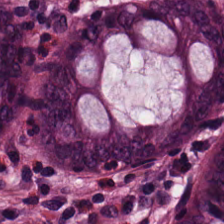0.5 µm/px · hematoxylin and eosin · 224×224 px patch. The tissue is non-neoplastic colon mucosa.
